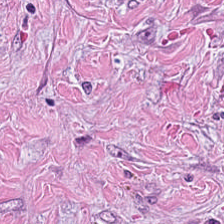0.5 microns per pixel; 224×224 px tile; H&E-stained tissue section — Tissue type: desmoplastic stroma.
